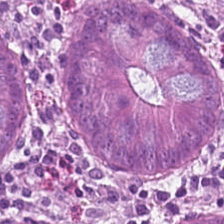Hematoxylin-and-eosin stained section.
Q: What does this patch show?
A: This is normal colonic mucosa.
